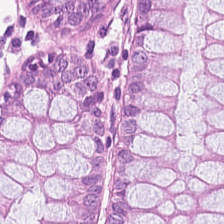The tissue type is non-neoplastic colon mucosa.
